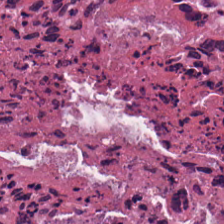0.5 µm per pixel. FFPE. Hematoxylin and eosin — Showing debris.
